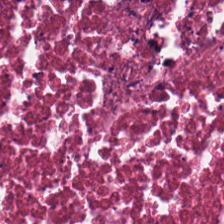Brightfield microscopy · 0.5 µm per pixel · hematoxylin-and-eosin stained section — Histology — cellular debris.
